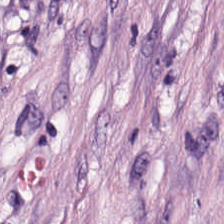Hematoxylin-and-eosin stained section. 224×224 pixel tile — Finding → tumor stroma.
